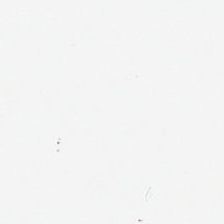Empty background.
